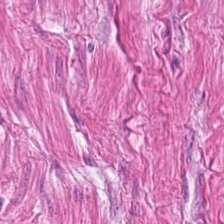20× equivalent magnification · H&E · FFPE tissue section — The tissue type is smooth muscle.
